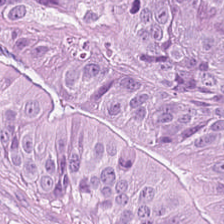H&E-stained tissue section — Tissue type — colorectal adenocarcinoma epithelium.
